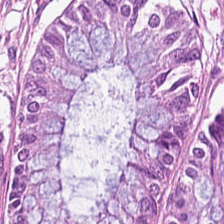H&E-stained tissue section — The predominant tissue is normal colonic mucosa.
